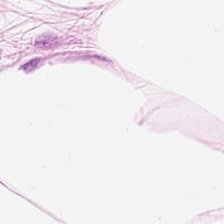Hematoxylin and eosin. 224×224 px patch — This field is adipocytes.
